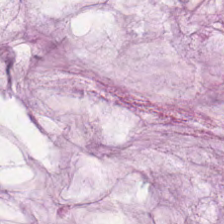Stain: H&E stain.
Tissue type: mucus.
